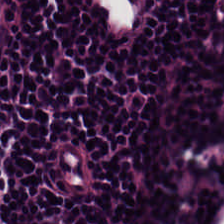WSI patch. FFPE. Hematoxylin-and-eosin stained section.
{"tissue_type": "lymphoid infiltrate"}
